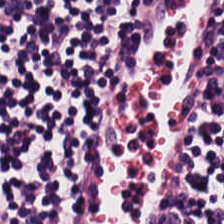{"tissue_type": "lymphoid infiltrate"}
